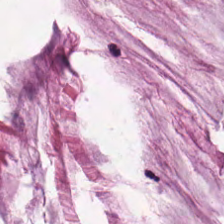H&E — extracellular mucin.
